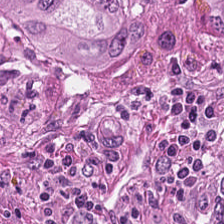Whole-slide-image patch · H&E — Impression — adenocarcinoma.
